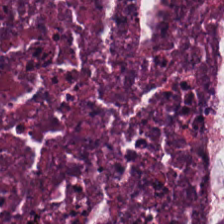Hematoxylin and eosin · 224×224 pixel tile · formalin-fixed paraffin-embedded section — Q: What does this patch show?
A: The field shows debris.
